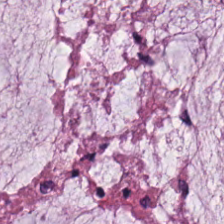Hematoxylin-and-eosin stained section. WSI patch — Q: What type of tissue is this?
A: Mucin.
